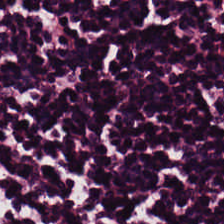Stain: H&E.
Tissue class: lymphocytic infiltrate.
